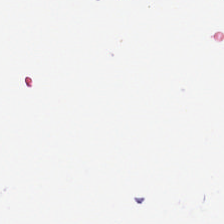Stain: H&E.
Acquisition: whole-slide-image patch.
Content: no tissue.
